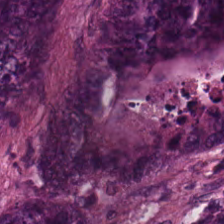Hematoxylin and eosin. 224×224 px patch.
{"tissue_type": "adenocarcinoma"}
